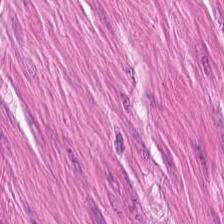Stain: H&E-stained tissue section.
Tissue type: smooth-muscle tissue.
